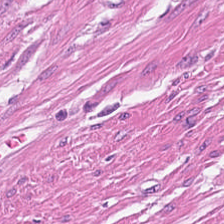H&E-stained tissue section. 224×224 px tile — {"tissue_type": "smooth muscle"}
